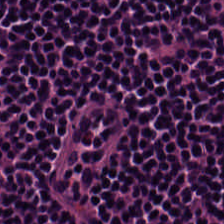Hematoxylin and eosin. Predominant tissue = lymphoid infiltrate.
